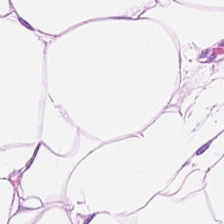Stain: H&E stain.
Classification: adipose.
